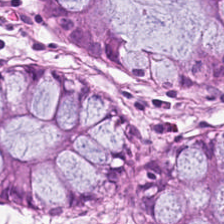H&E stain · 0.5 µm/px · WSI patch. {"tissue_type": "normal colonic mucosa"}
